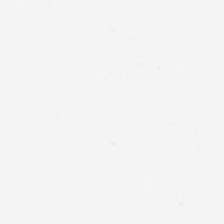No tissue present; background only.
